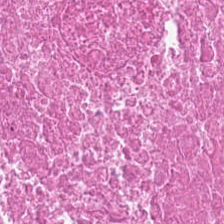H&E-stained tissue section. This patch shows necrotic debris.
